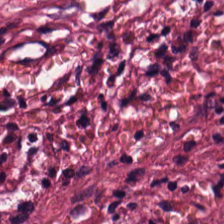{"tissue_type": "desmoplastic stroma"}
